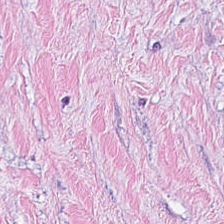H&E-stained tissue section.
The predominant tissue is tumor-associated stroma.
